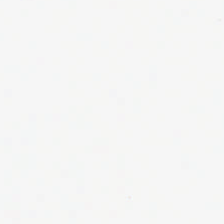Stain: H&E stain.
Classification: no tissue.
